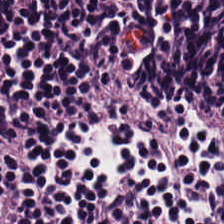Hematoxylin-and-eosin stained section; FFPE tissue section. Tissue: lymphocytic infiltrate.
